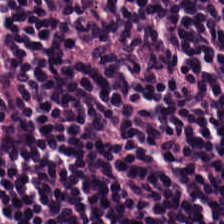Q: What is the predominant tissue type?
A: This is lymphoid infiltrate.
